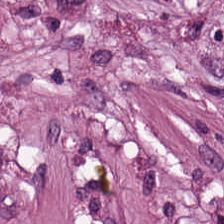H&E stain. This field is tumor stroma.
